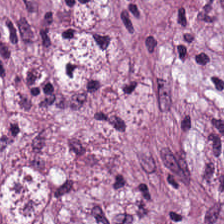Stain: hematoxylin-and-eosin stained section.
Tile size: 224×224 px tile.
Acquisition: brightfield microscopy.
Tissue: tumor stroma.
